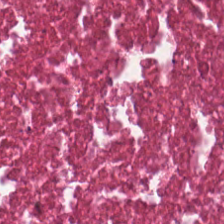Q: What does this patch show?
A: This is cellular debris.
